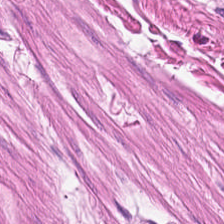H&E.
Predominant tissue — muscularis.
